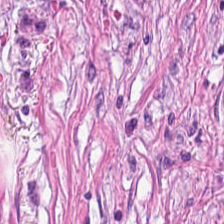Hematoxylin-and-eosin stained section. 0.5 microns per pixel. 224×224 px tile — This patch shows cancer-associated stroma.
